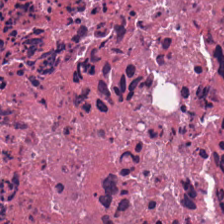H&E. The tissue class is necrotic debris.
